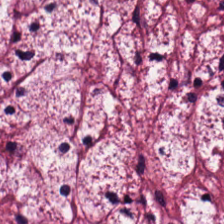H&E-stained section; the field shows desmoplastic stroma.
